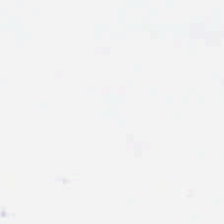H&E stain · 0.5 µm/px.
{"content": "empty background"}
